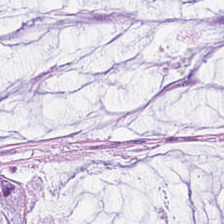Hematoxylin and eosin — Q: Classify this patch.
A: It is extracellular mucin.
